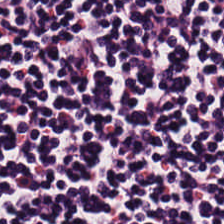H&E. Showing lymphocytic infiltrate.
